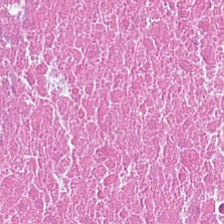H&E. FFPE tissue section. Impression — cellular debris.
